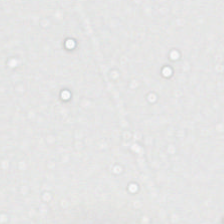Stain: hematoxylin-and-eosin stained section.
Field content: background.
